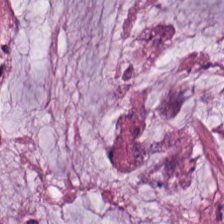Q: What is the predominant tissue type?
A: This is mucus.
